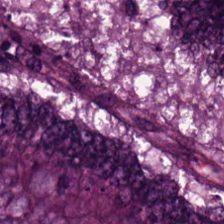Hematoxylin-and-eosin stained section.
Histology → colorectal adenocarcinoma.
